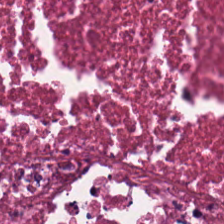Stain: H&E stain.
Tile size: 224×224 px tile.
Tissue type: necrotic debris.
